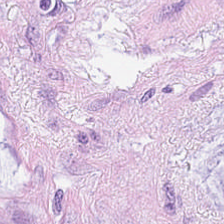Hematoxylin and eosin · 224×224 pixel tile · 20× equivalent magnification.
Impression → mucus.
